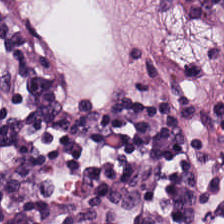H&E — Tissue class: lymphocytes.
